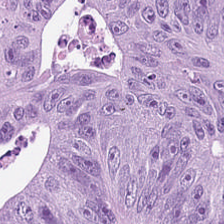H&E.
Q: Identify the tissue.
A: It is malignant epithelium.
